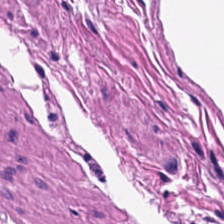Hematoxylin and eosin — Tissue type = smooth muscle.
